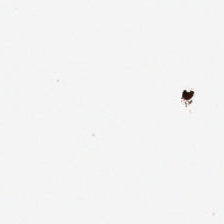H&E stain. Q: Classify this patch.
A: It is no tissue.
